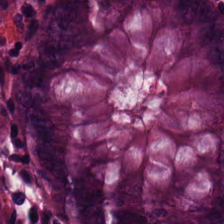FFPE tissue section · H&E stain — Q: What does this patch show?
A: The field shows non-neoplastic colon mucosa.
